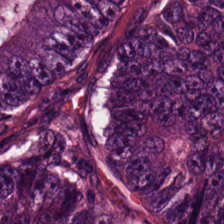Stain: H&E.
Tissue type: colorectal adenocarcinoma.
